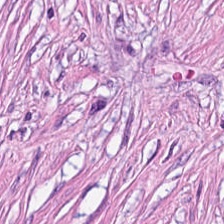H&E patch showing tumor stroma.
